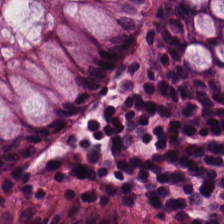H&E stain — The tissue here is normal colon mucosa.
